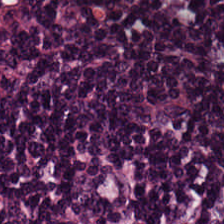Hematoxylin and eosin. The classification is lymphocytes.
